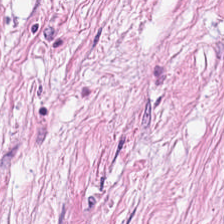Predominant tissue = tumor-associated stroma.
